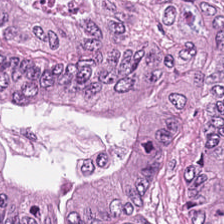Hematoxylin and eosin — This field is malignant epithelium.
